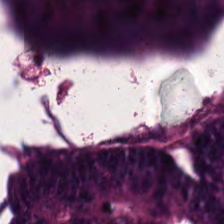Hematoxylin and eosin. 224×224 px patch. FFPE — The predominant tissue is colorectal adenocarcinoma epithelium.
